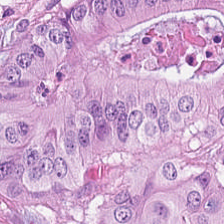Hematoxylin and eosin. The tissue is adenocarcinoma.
